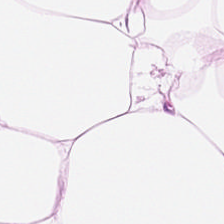H&E · formalin-fixed paraffin-embedded section. This field is adipocytes.
